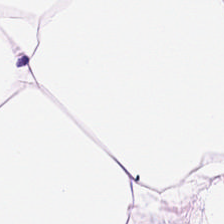H&E. Q: What is shown in this field?
A: This is adipose.
